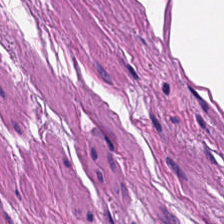0.5 µm per pixel; WSI patch; H&E stain.
{"tissue_type": "smooth-muscle tissue"}
